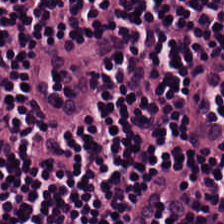The tissue type is lymphoid infiltrate.
